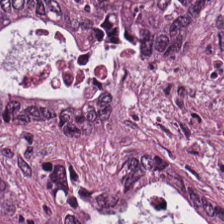H&E.
Q: What tissue type is shown here?
A: It is tumor epithelium.
